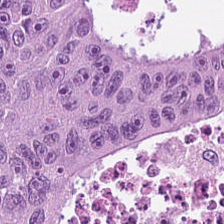Q: What does this patch show?
A: The field shows malignant epithelium.
